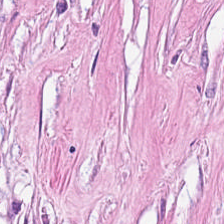Hematoxylin and eosin. FFPE tissue section. 0.5 µm per pixel. Desmoplastic stroma.
